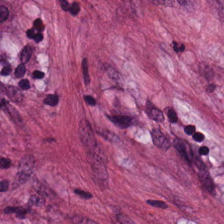H&E. Showing desmoplastic stroma.
